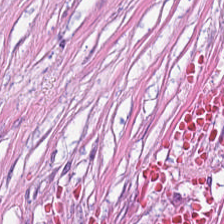Hematoxylin-and-eosin stained section.
Predominantly desmoplastic stroma.
